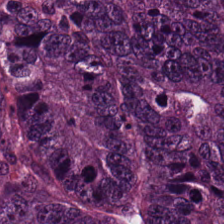FFPE tissue section; H&E-stained tissue section.
Impression → colorectal adenocarcinoma.
